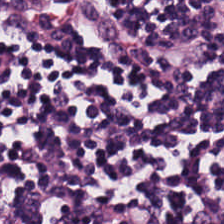H&E stain · FFPE. Q: What is shown in this field?
A: It is lymphocytes.
